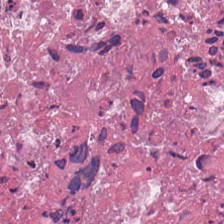Hematoxylin-and-eosin stained section; FFPE tissue section; brightfield microscopy — This patch shows debris.
